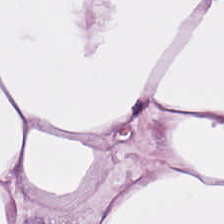H&E.
Predominantly adipocytes.
